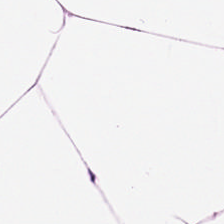H&E — Histology → adipose.
